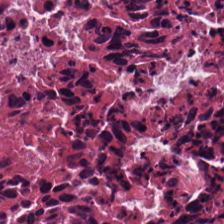H&E — Tissue class = cellular debris.
